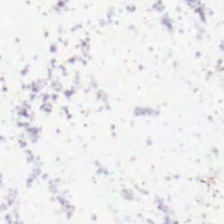H&E stain. Whole-slide-image patch.
Impression → background.
